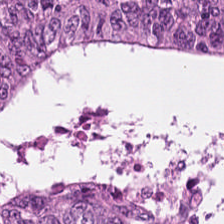H&E-stained tissue section · FFPE tissue section. Predominantly colorectal adenocarcinoma.
